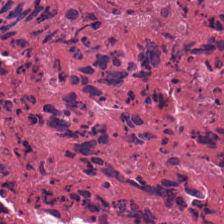Stain: H&E-stained tissue section.
Tissue type: cellular debris.
